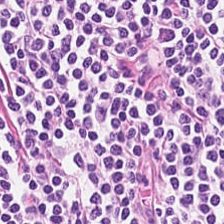224×224 px tile. Hematoxylin-and-eosin stained section. Tissue type — lymphocyte aggregate.
